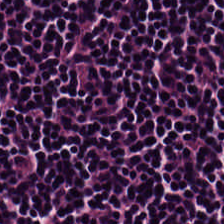Stain: H&E.
Acquisition: whole-slide-image patch.
Classification: lymphocytes.
